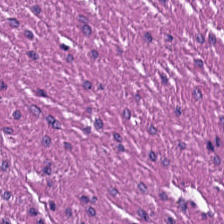Predominant tissue = smooth muscle.
